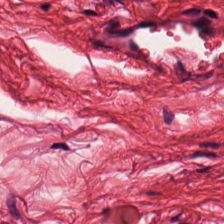The predominant tissue is muscularis.
